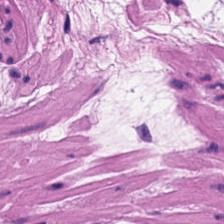Brightfield microscopy · H&E-stained tissue section · 224×224 px patch — Classification: smooth-muscle tissue.
